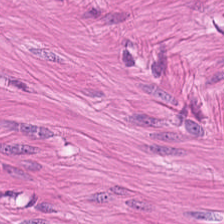H&E. The tissue here is smooth muscle.
